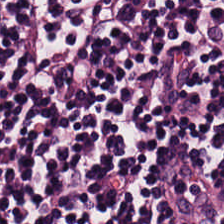FFPE tissue section · 224×224 px patch · hematoxylin and eosin — Predominantly lymphoid infiltrate.
